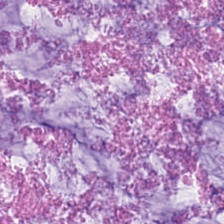FFPE; H&E; 0.5 µm per pixel. Finding → mucus.
